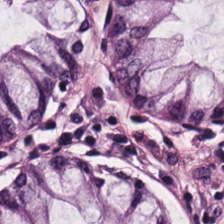H&E-stained tissue section.
{"tissue_type": "normal colon mucosa"}
